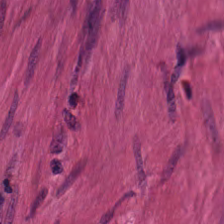H&E.
This patch shows smooth muscle.
